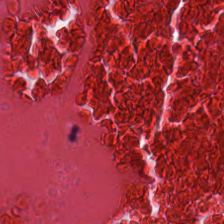H&E-stained section; the field shows necrotic debris.
